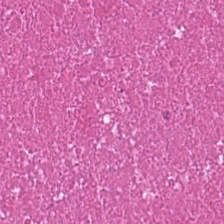Stain: H&E-stained tissue section.
Tissue type: cellular debris.
